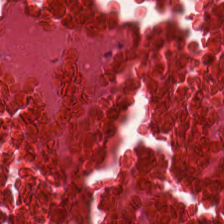Showing cellular debris.
